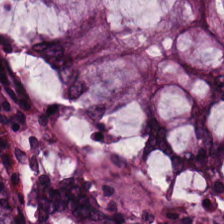Hematoxylin-and-eosin stained section; 0.5 microns per pixel. Q: What is shown in this field?
A: Normal colonic mucosa.
